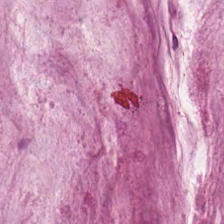0.5 µm per pixel; H&E-stained tissue section; brightfield — The predominant tissue is mucus.
